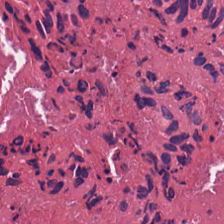224×224 pixel tile. H&E stain. Cellular debris.
